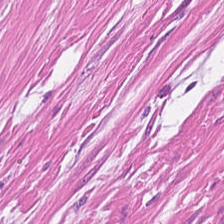224×224 px patch. Hematoxylin-and-eosin stained section. Predominant tissue — smooth muscle.
